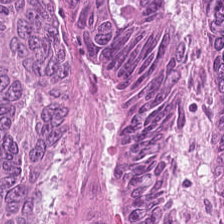Hematoxylin and eosin — Finding — colorectal adenocarcinoma epithelium.
